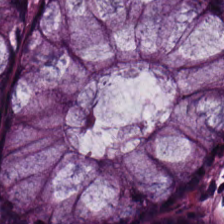H&E-stained section; the field shows normal colonic mucosa.
